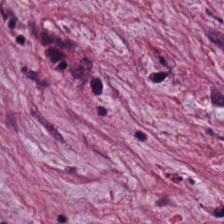Q: What is shown in this field?
A: It is tumor-associated stroma.
